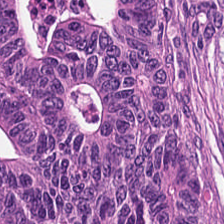Brightfield microscopy · hematoxylin-and-eosin stained section.
Colorectal adenocarcinoma epithelium.
